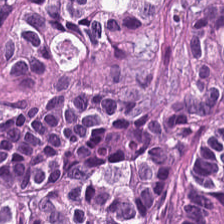H&E-stained tissue section.
The tissue here is colorectal adenocarcinoma epithelium.
